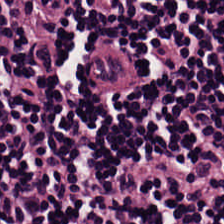Brightfield; 0.5 microns per pixel; H&E-stained tissue section.
Predominant tissue: lymphocytes.
